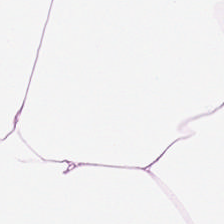Hematoxylin and eosin. The predominant tissue is adipose tissue.
